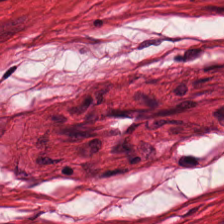H&E-stained tissue section.
Finding — smooth-muscle tissue.
